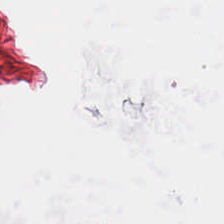H&E.
Finding — no tissue.
